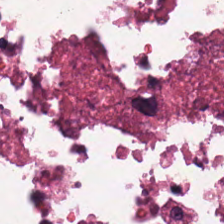Stain: H&E.
Predominant tissue: necrotic debris.
